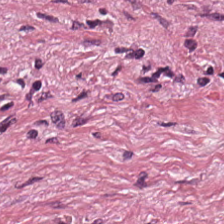224×224 pixel tile · H&E-stained tissue section — Q: Identify the tissue.
A: This is cancer-associated stroma.
